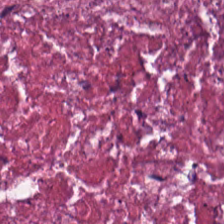Predominant tissue: necrotic debris.
